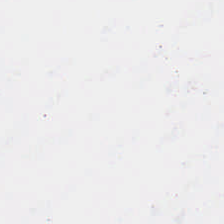Hematoxylin and eosin · brightfield.
Empty field — no tissue.
